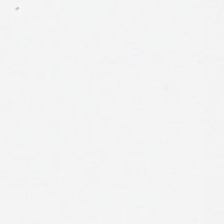224×224 px tile. Hematoxylin and eosin. Brightfield. Empty field — no tissue.
